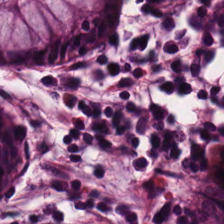H&E-stained tissue section. Q: What is the predominant tissue type?
A: This is normal colonic mucosa.
